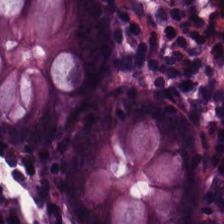Stain: H&E.
Tile size: 224×224 px tile.
Tissue type: normal colon mucosa.
